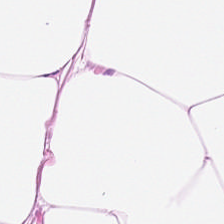H&E.
Showing adipocytes.
